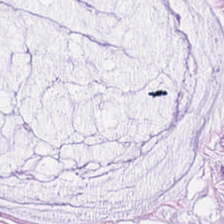Q: What does this patch show?
A: This is mucin.
